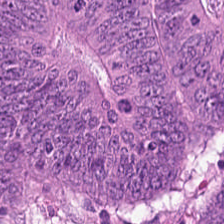Hematoxylin-and-eosin stained section. Histology → adenocarcinoma.
